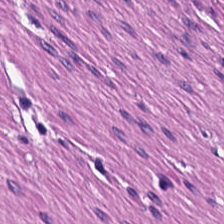Predominant tissue — smooth-muscle tissue.
